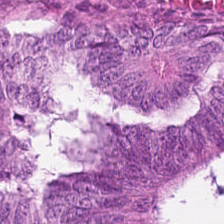Hematoxylin and eosin · 0.5 µm/px — {"tissue_type": "colorectal adenocarcinoma epithelium"}
